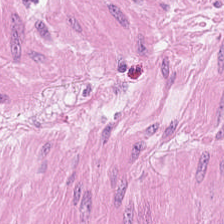H&E.
Predominant tissue = smooth-muscle tissue.
